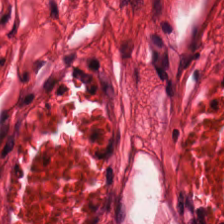H&E. Classification — smooth-muscle tissue.
